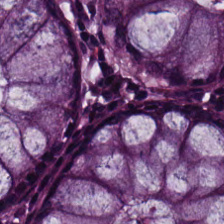H&E patch showing normal colonic mucosa.
